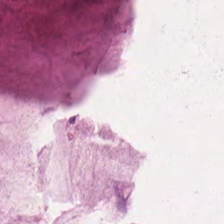Tissue type = extracellular mucin.
